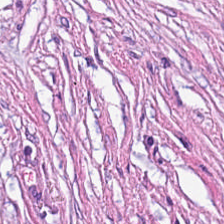H&E. This field is cancer-associated stroma.
